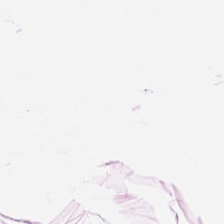H&E stain.
Finding — fat tissue.
